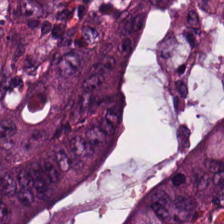H&E patch showing colorectal adenocarcinoma epithelium.
